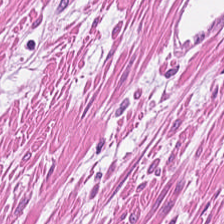Formalin-fixed paraffin-embedded section · 0.5 µm per pixel · H&E.
{"tissue_type": "muscularis"}
